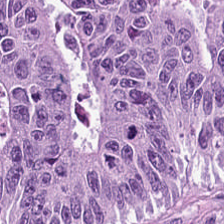WSI patch · H&E stain — {"tissue_type": "colorectal adenocarcinoma epithelium"}
